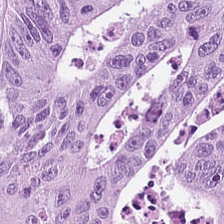224×224 pixel tile; H&E-stained tissue section.
Tissue: adenocarcinoma.
